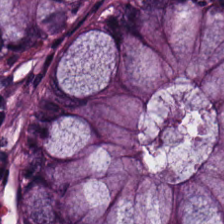FFPE tissue section. H&E. 0.5 µm per pixel — The tissue is benign colonic mucosa.
